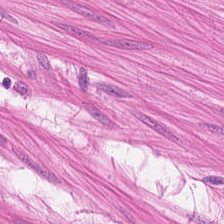H&E stain.
{"tissue_type": "muscularis"}
